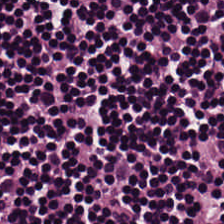Hematoxylin-and-eosin stained section. Lymphocytic infiltrate.
